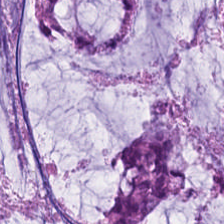H&E-stained tissue section; whole-slide-image patch. Q: What tissue type is shown here?
A: This is mucus.
